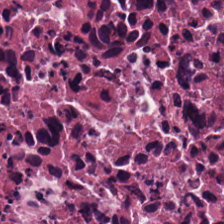Stain: hematoxylin-and-eosin stained section.
Preparation: FFPE tissue section.
Acquisition: brightfield microscopy.
Classification: necrotic debris.
